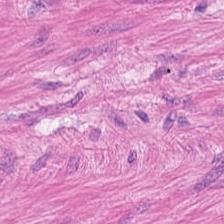H&E. Whole-slide-image patch — Q: What is shown here?
A: The field shows muscularis.
